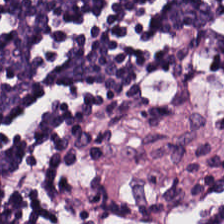Hematoxylin-and-eosin stained section.
The predominant tissue is lymphoid infiltrate.
